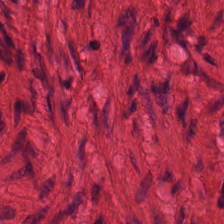Hematoxylin and eosin. The predominant tissue is muscularis.
